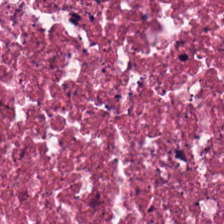H&E-stained tissue section.
Histology → debris.
